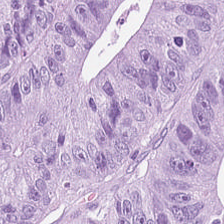Stain: H&E stain.
Tissue class: tumor epithelium.
